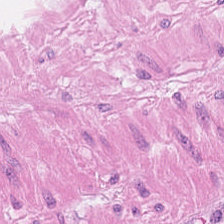Hematoxylin-and-eosin stained section.
This field is smooth muscle.
